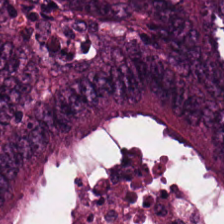Hematoxylin and eosin.
Predominantly malignant epithelium.
